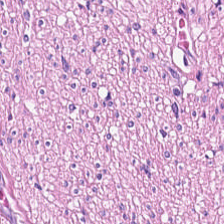The tissue here is smooth muscle.
